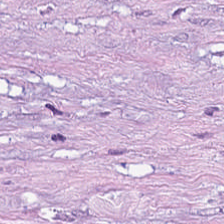Stain: hematoxylin and eosin.
Preparation: FFPE.
Predominant tissue: tumor stroma.
